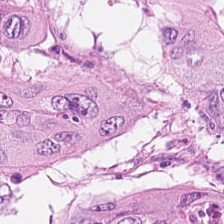WSI patch. H&E stain. Tissue class: malignant epithelium.
